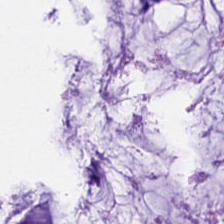Q: What is the predominant tissue type?
A: The field shows mucin.
